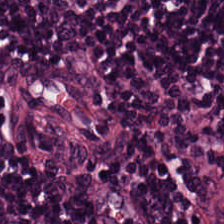H&E. Whole-slide-image patch — Q: What is shown in this field?
A: It is lymphocyte aggregate.
